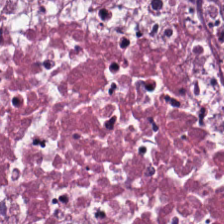Stain: hematoxylin-and-eosin stained section.
Classification: necrotic debris.
